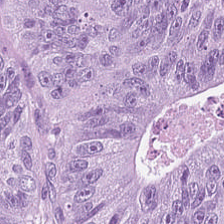Hematoxylin-and-eosin stained section; formalin-fixed paraffin-embedded section.
Q: Identify the tissue.
A: This is colorectal adenocarcinoma.
